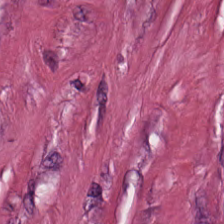Stain: H&E-stained tissue section.
Tissue: tumor stroma.
